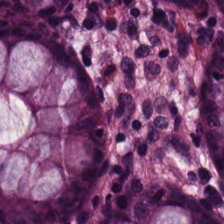The tissue here is non-neoplastic colon mucosa.
